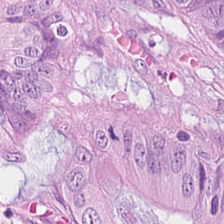Stain: H&E-stained tissue section.
Classification: adenocarcinoma.
